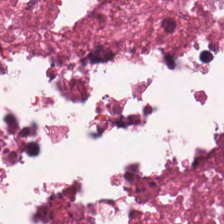WSI patch. Hematoxylin and eosin. Q: What type of tissue is this?
A: This is necrotic debris.
